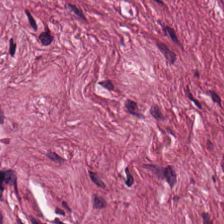224×224 px patch; H&E-stained tissue section.
Showing tumor-associated stroma.
